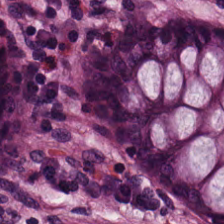H&E stain; 0.5 µm/px.
Predominantly non-neoplastic colon mucosa.
